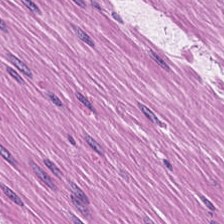Stain: H&E-stained tissue section.
Preparation: FFPE.
Tissue type: smooth-muscle tissue.
